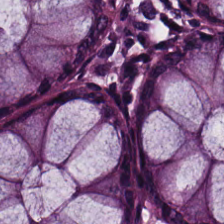Hematoxylin and eosin.
Predominantly normal colonic mucosa.
